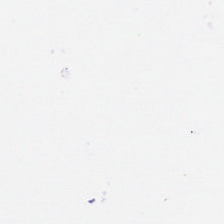H&E stain. Classification — background (no tissue).
